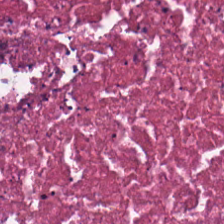20× equivalent magnification. H&E-stained tissue section — This field is cellular debris.
